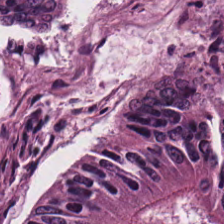H&E stain. The tissue here is malignant epithelium.
